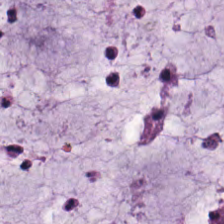224×224 px patch. H&E. FFPE. Tissue type = extracellular mucin.
